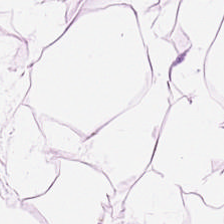H&E-stained section; the field shows adipose.
